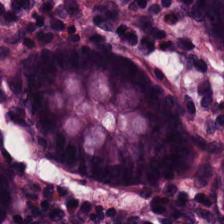FFPE tissue section. Hematoxylin-and-eosin stained section.
Showing normal colon mucosa.
